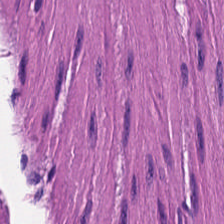20× equivalent magnification. H&E. The tissue here is smooth muscle.
